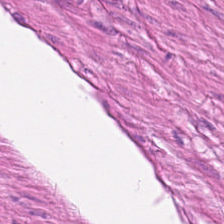H&E stain. WSI patch. Histology — smooth-muscle tissue.
